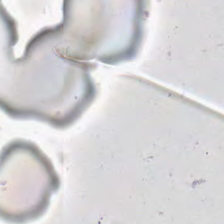H&E stain.
Content = background.
